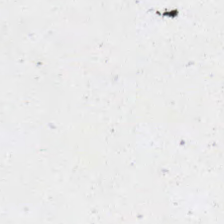The content is background.
